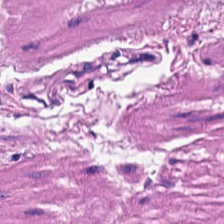H&E. Brightfield microscopy — Q: Identify the tissue.
A: It is smooth muscle.
